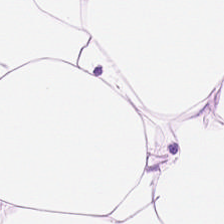Hematoxylin and eosin; brightfield — Q: What does this patch show?
A: Adipocytes.
